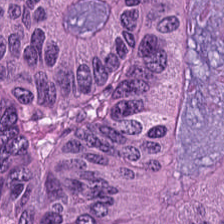Hematoxylin-and-eosin stained section. Tissue type: tumor epithelium.
